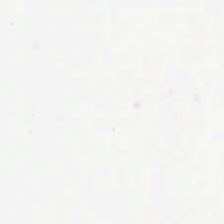H&E.
Q: What does this patch show?
A: This is background (no tissue).
